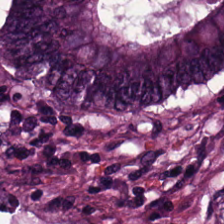Stain: hematoxylin-and-eosin stained section.
Tile size: 224×224 px tile.
Predominant tissue: adenocarcinoma.
